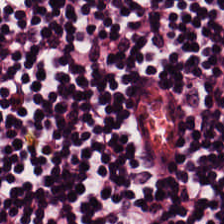Hematoxylin-and-eosin stained section. Tissue type = lymphocyte aggregate.
